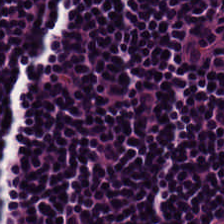Hematoxylin and eosin; whole-slide-image patch.
Q: What tissue type is shown here?
A: The field shows lymphocytic infiltrate.
